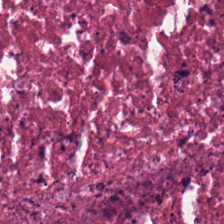Stain: hematoxylin and eosin.
Tissue: necrotic debris.
